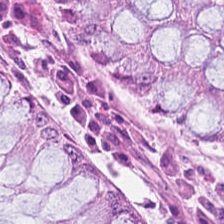Classification = benign colonic mucosa.
